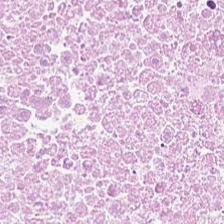Brightfield microscopy. H&E. Impression → necrotic debris.
